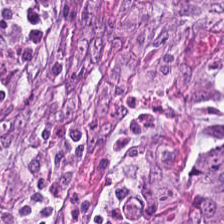H&E stain. This field is malignant epithelium.
